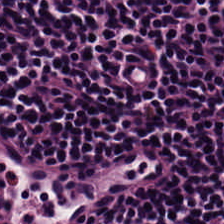224×224 pixel tile; H&E-stained tissue section — Q: What is shown here?
A: The field shows lymphoid infiltrate.
